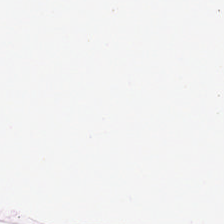WSI patch. Hematoxylin-and-eosin stained section. The classification is adipocytes.
